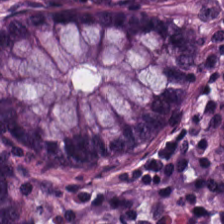Brightfield microscopy · hematoxylin and eosin. Tissue type = normal colon mucosa.
